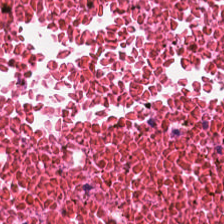Classification: debris.
